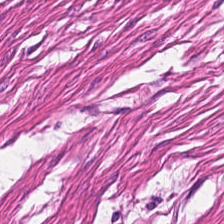Hematoxylin-and-eosin stained section. Predominant tissue — smooth-muscle tissue.
